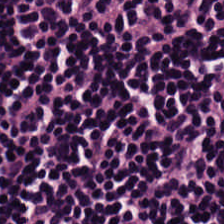H&E stain. 0.5 microns per pixel — Predominant tissue = lymphocytic infiltrate.
